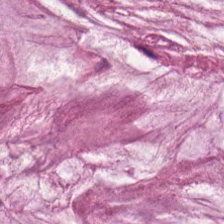Stain: hematoxylin-and-eosin stained section.
Classification: mucus.
